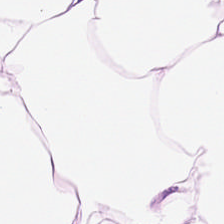H&E stain · 0.5 microns per pixel. This patch shows adipose tissue.
